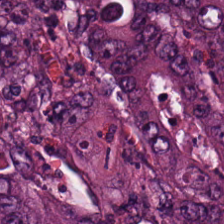FFPE; hematoxylin and eosin. Classification: tumor epithelium.
